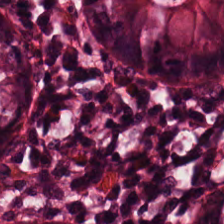Stain: hematoxylin and eosin.
Acquisition: whole-slide-image patch.
Tile size: 224×224 px patch.
Tissue: non-neoplastic colon mucosa.
